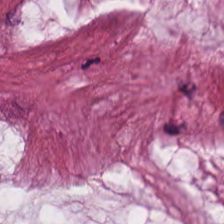Stain: H&E.
Classification: mucin.
